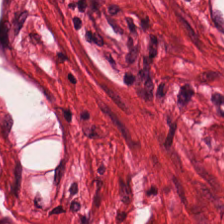Whole-slide-image patch. H&E-stained tissue section. Q: What is shown in this field?
A: It is muscularis.
